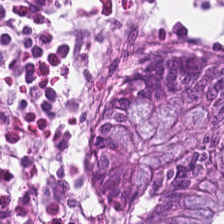Brightfield microscopy · H&E-stained tissue section. Tissue type = normal colonic mucosa.
